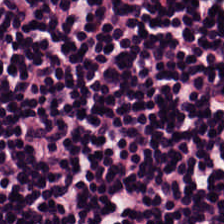H&E. Classification: lymphocytes.
